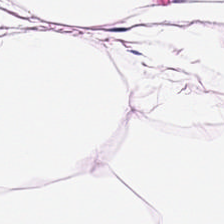Hematoxylin and eosin. Tissue — adipose.
